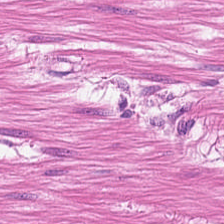H&E-stained tissue section — This patch shows smooth-muscle tissue.
